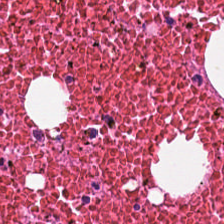H&E · 224×224 px tile · whole-slide-image patch. The tissue is debris.
